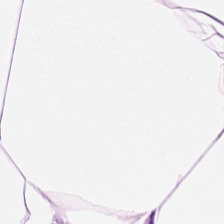Formalin-fixed paraffin-embedded section; H&E stain.
Tissue type — fat tissue.
